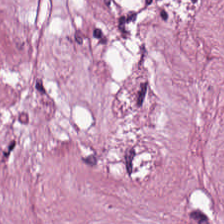Stain: H&E stain.
Predominant tissue: cancer-associated stroma.
